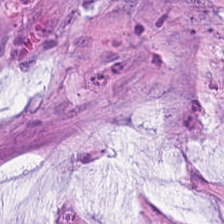H&E · FFPE · whole-slide-image patch. Tissue class: mucin.
